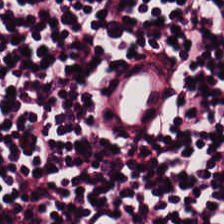Predominant tissue — lymphocyte aggregate.
